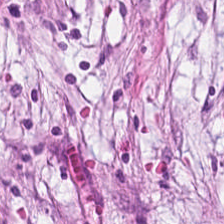The classification is desmoplastic stroma.
